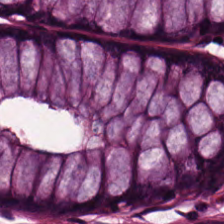H&E — Finding — normal colonic mucosa.
